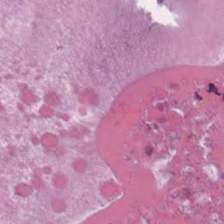Formalin-fixed paraffin-embedded section · H&E stain · 0.5 µm/px.
The predominant tissue is cellular debris.
